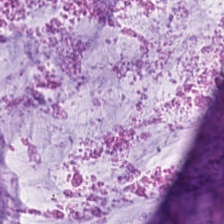0.5 µm per pixel. Hematoxylin-and-eosin stained section. This patch shows extracellular mucin.
